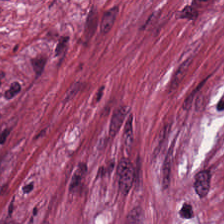0.5 µm per pixel; H&E-stained tissue section. Finding — desmoplastic stroma.
